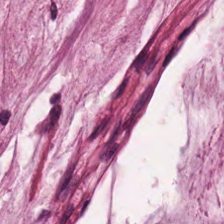Classification: extracellular mucin.
